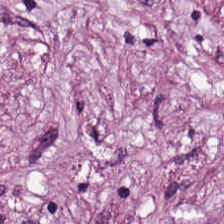H&E-stained tissue section.
Showing desmoplastic stroma.
